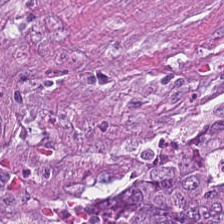Hematoxylin-and-eosin stained section; WSI patch. The tissue here is malignant epithelium.
